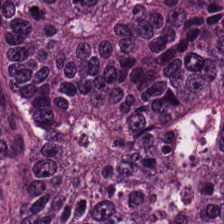Hematoxylin and eosin.
The tissue here is malignant epithelium.
